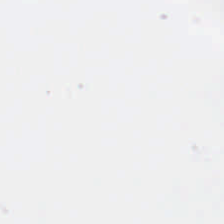Hematoxylin-and-eosin stained section.
Q: What is shown in this field?
A: This is background (no tissue).
